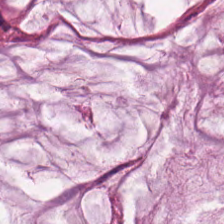Hematoxylin-and-eosin section: mucin.
